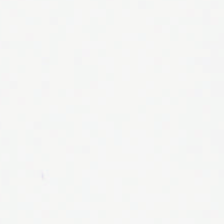Hematoxylin-and-eosin stained section — Empty background.
